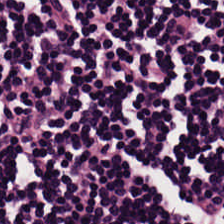This field is lymphocytic infiltrate.
